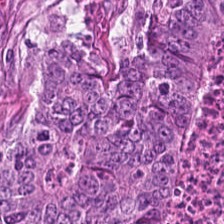H&E stain; whole-slide-image patch. Q: What type of tissue is this?
A: The field shows malignant epithelium.
